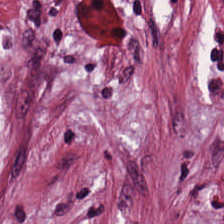H&E · 0.5 µm/px · WSI patch. Finding → tumor stroma.
